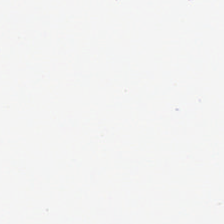No tissue.
